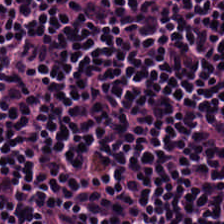Finding → lymphocytes.
